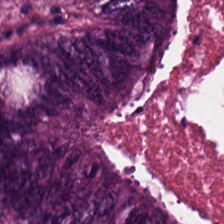H&E-stained tissue section. This patch shows colorectal adenocarcinoma epithelium.
